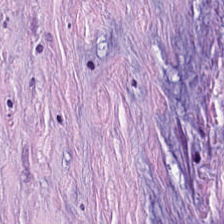Hematoxylin-and-eosin stained section. Predominantly tumor stroma.
